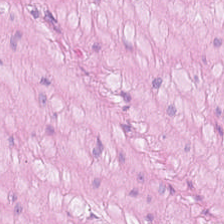Hematoxylin and eosin; brightfield microscopy — Smooth muscle.
